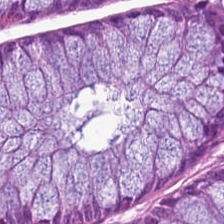Stain: H&E.
Tissue type: normal colonic mucosa.
